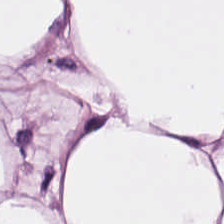Hematoxylin-and-eosin stained section — Tissue type — adipocytes.
